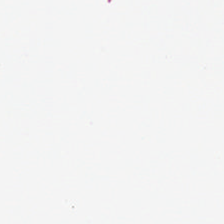Empty field — empty background.
